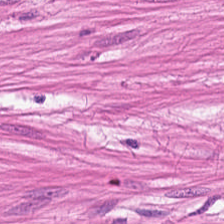WSI patch; H&E stain. This field is muscularis.
